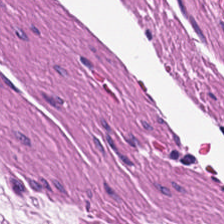H&E-stained tissue section. Predominant tissue = smooth muscle.
